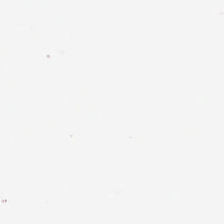Q: What does this patch show?
A: The field shows background.
